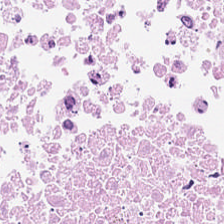WSI patch; H&E stain — The predominant tissue is necrotic debris.
